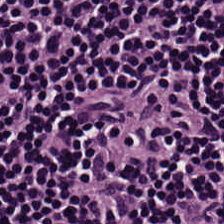Impression → lymphocytic infiltrate.
